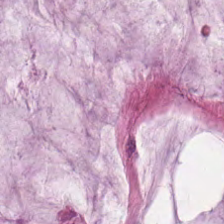This patch shows mucus.
